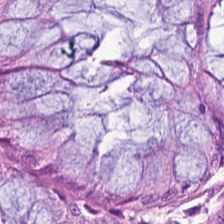Tissue class — benign colonic mucosa.
